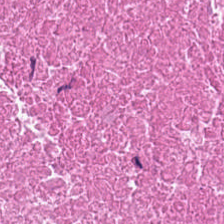H&E. Showing cellular debris.
